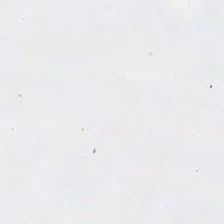Impression → background (no tissue).
